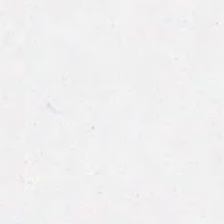Hematoxylin-and-eosin stained section. Classification = empty background.
